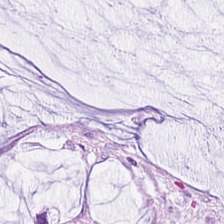Predominant tissue: mucin.
